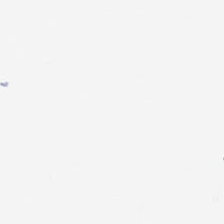FFPE tissue section; hematoxylin and eosin.
Q: Classify this patch.
A: The field shows background.
